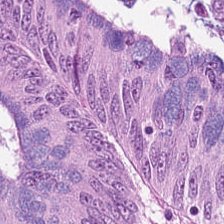This field is tumor epithelium.
